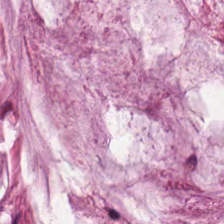H&E stain — Predominantly mucin.
